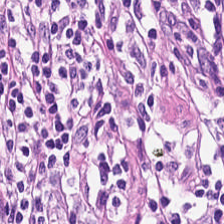Showing lymphocytic infiltrate.
